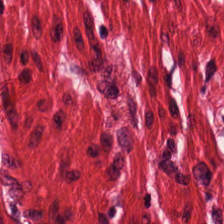Hematoxylin-and-eosin stained section · brightfield — Histology — smooth-muscle tissue.
